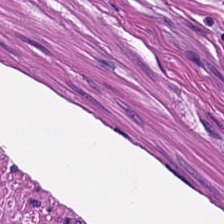H&E patch showing smooth-muscle tissue.
